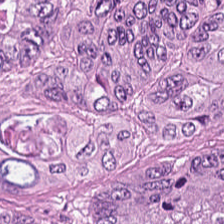Hematoxylin-and-eosin stained section.
Predominantly malignant epithelium.
